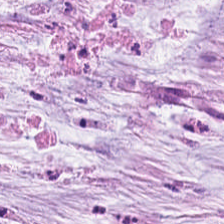Stain: hematoxylin and eosin.
Acquisition: whole-slide-image patch.
Tissue class: extracellular mucin.
